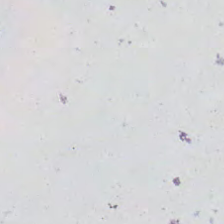224×224 pixel tile; H&E-stained tissue section — Content = empty background.
